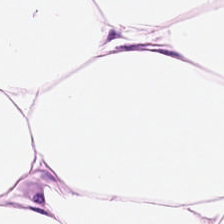H&E.
Showing adipocytes.
